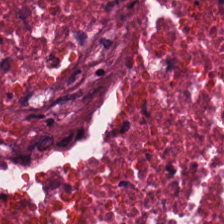Tissue type — cellular debris.
